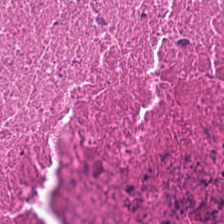Tissue class = necrotic debris.
